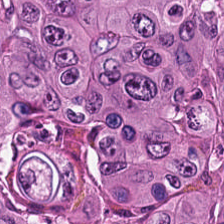H&E-stained tissue section showing adenocarcinoma.
